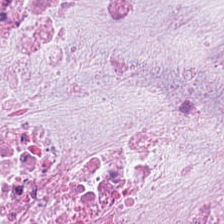H&E; WSI patch — Predominantly mucin.
